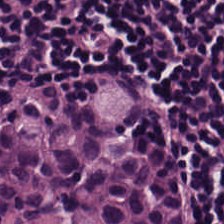H&E-stained tissue section. The predominant tissue is lymphoid infiltrate.
